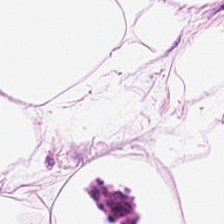Stain: hematoxylin and eosin.
Tile size: 224×224 pixel tile.
Resolution: 0.5 microns per pixel.
Tissue: adipose tissue.
